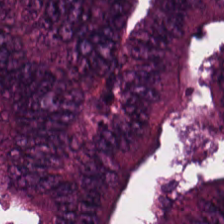Q: What tissue type is shown here?
A: It is colorectal adenocarcinoma epithelium.
